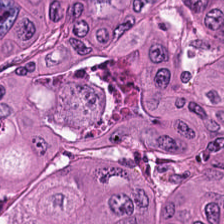H&E stain. The predominant tissue is tumor epithelium.
